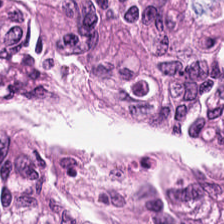Stain: hematoxylin and eosin.
Acquisition: brightfield microscopy.
Tissue type: tumor epithelium.
